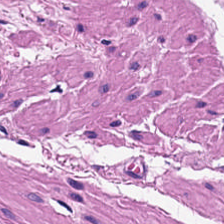Formalin-fixed paraffin-embedded section · H&E stain. {"tissue_type": "muscularis"}
